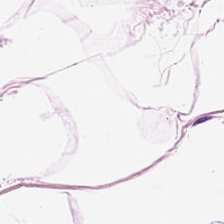Stain: H&E-stained tissue section.
Tissue type: adipose.
